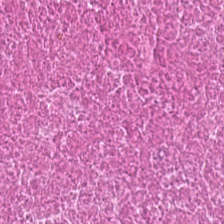The tissue here is necrotic debris.
